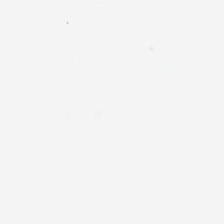H&E stain · FFPE — Field content = background.
